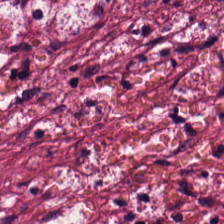Stain: hematoxylin-and-eosin stained section.
Predominant tissue: desmoplastic stroma.
